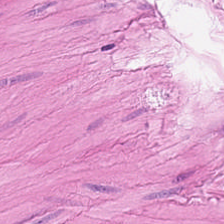Whole-slide-image patch · H&E — The predominant tissue is smooth muscle.
